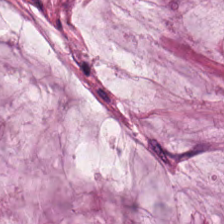Formalin-fixed paraffin-embedded section; H&E stain. This patch shows extracellular mucin.
